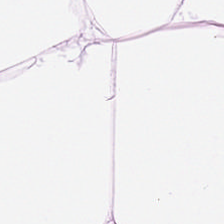FFPE tissue section · H&E · 0.5 µm/px.
Finding — fat tissue.
